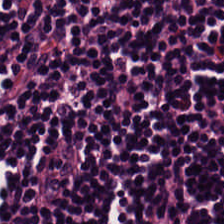Hematoxylin-and-eosin stained section. Brightfield microscopy. The predominant tissue is lymphoid infiltrate.
